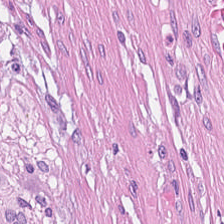Brightfield; hematoxylin and eosin.
This field is tumor-associated stroma.
